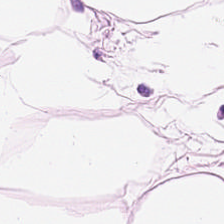Stain: H&E.
Tile size: 224×224 px tile.
Tissue: adipose.
